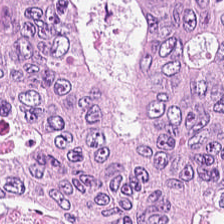H&E stain — Q: What tissue type is shown here?
A: The field shows colorectal adenocarcinoma epithelium.
